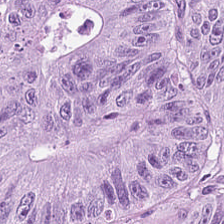Q: What is the predominant tissue type?
A: It is colorectal adenocarcinoma.
